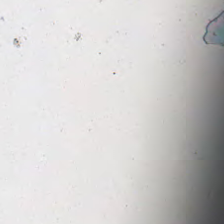H&E stain; 224×224 pixel tile.
No tissue present; background only.
